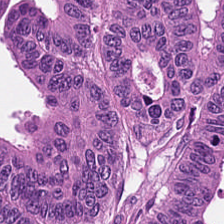Stain: hematoxylin-and-eosin stained section.
Classification: adenocarcinoma.
